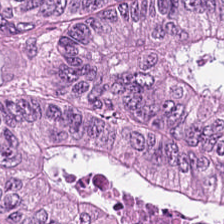224×224 pixel tile. H&E-stained tissue section. 0.5 µm/px. The predominant tissue is adenocarcinoma.
